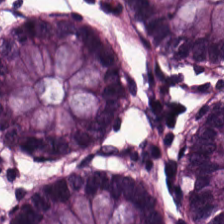0.5 µm/px. 224×224 pixel tile. Hematoxylin-and-eosin stained section.
The predominant tissue is normal colon mucosa.
